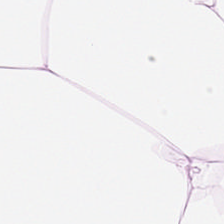H&E-stained tissue section. Showing adipocytes.
